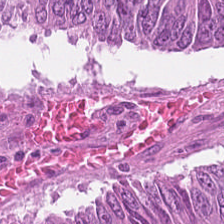H&E-stained tissue section; 20× equivalent magnification; 224×224 px tile.
Q: What tissue is shown?
A: This is adenocarcinoma.
